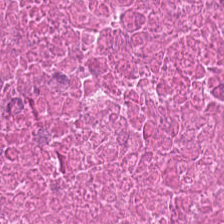This patch shows cellular debris.
